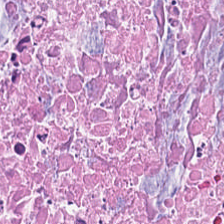Hematoxylin-and-eosin stained section. Predominantly cellular debris.
